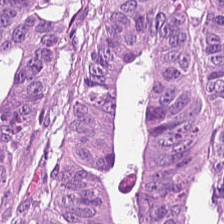H&E. 20× equivalent magnification.
Histology — malignant epithelium.
